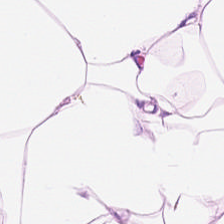Hematoxylin-and-eosin stained section; 224×224 px patch. Showing adipocytes.
